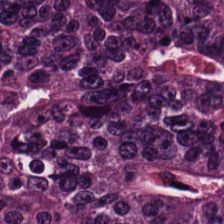H&E. FFPE — Classification = malignant epithelium.
